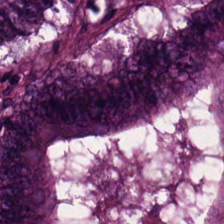Stain: hematoxylin-and-eosin stained section.
Tissue: adenocarcinoma.
